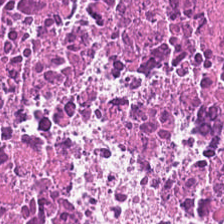224×224 pixel tile. H&E stain — The tissue here is debris.
